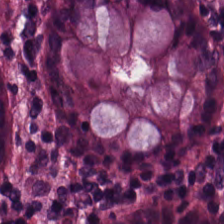H&E — Q: Classify this patch.
A: It is normal colonic mucosa.
